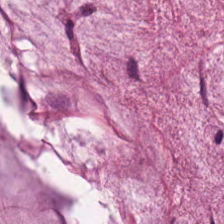224×224 px tile; H&E; 0.5 µm per pixel.
This patch shows mucin.
